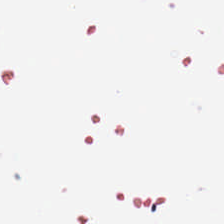H&E-stained tissue section — Histology → no tissue.
